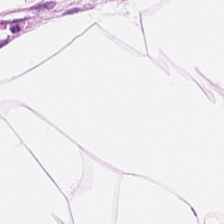Hematoxylin and eosin — The tissue here is adipose.
